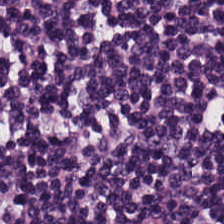0.5 µm/px · H&E stain · whole-slide-image patch.
Tissue type: lymphocytes.
